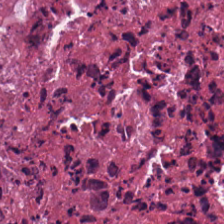FFPE tissue section. H&E. Q: What is shown in this field?
A: This is necrotic debris.
